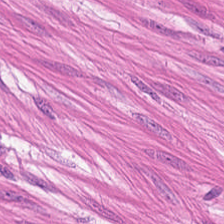224×224 px tile · hematoxylin-and-eosin stained section. {"tissue_type": "muscularis"}
